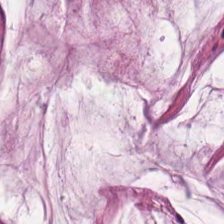H&E. Tissue class = mucus.
